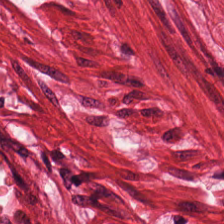Histology → smooth muscle.
